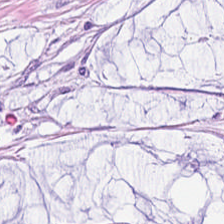Hematoxylin and eosin; brightfield microscopy. Predominantly mucin.
